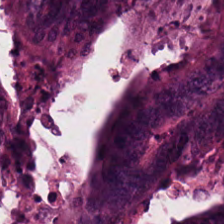The predominant tissue is colorectal adenocarcinoma epithelium.
